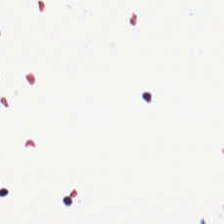Field content = empty background.
